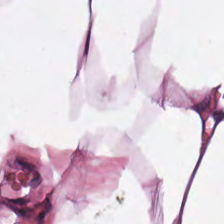Hematoxylin-and-eosin stained section. 224×224 pixel tile.
Predominantly fat tissue.
